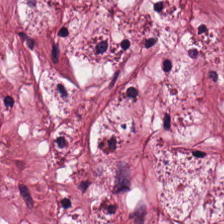Classification — tumor-associated stroma.
